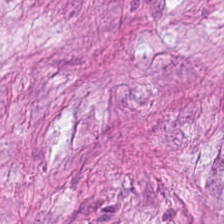H&E-stained tissue section — Finding → cancer-associated stroma.
